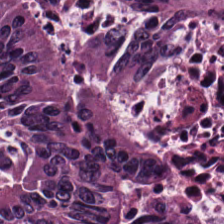20× equivalent magnification · H&E. Q: What is shown in this field?
A: Tumor epithelium.
